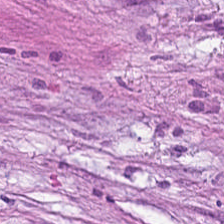Stain: hematoxylin and eosin.
Predominant tissue: desmoplastic stroma.
